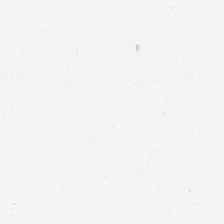Stain: H&E stain.
Classification: no tissue.
